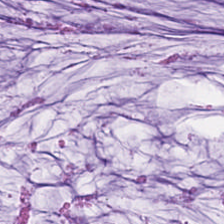The tissue here is mucin.
